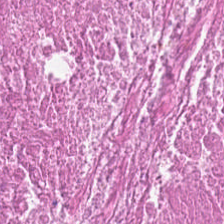H&E · 224×224 pixel tile. The predominant tissue is debris.
